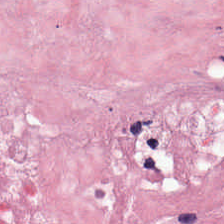FFPE tissue section · H&E-stained tissue section. Tissue type: cancer-associated stroma.
